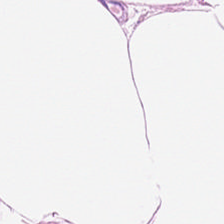Tissue class: adipose.
